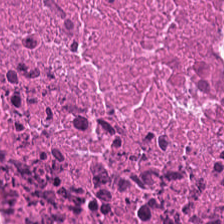WSI patch; H&E.
Q: What is shown in this field?
A: It is cellular debris.
